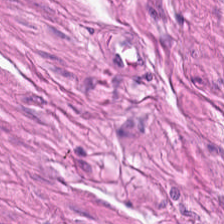H&E.
The tissue class is smooth muscle.
